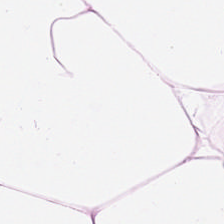H&E-stained tissue section.
Predominantly fat tissue.
